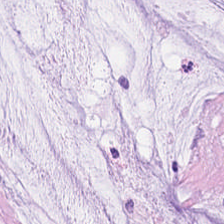H&E. Q: What is shown in this field?
A: This is mucus.
